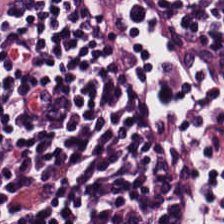Stain: hematoxylin-and-eosin stained section.
Predominant tissue: lymphocytic infiltrate.
